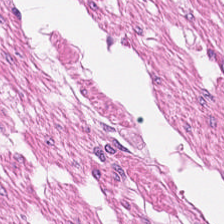20× equivalent magnification. Hematoxylin-and-eosin stained section. The tissue here is smooth muscle.
